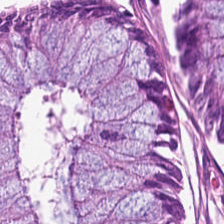Hematoxylin and eosin · FFPE tissue section.
{"tissue_type": "normal colonic mucosa"}
